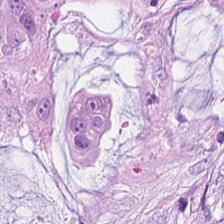H&E-stained tissue section; 224×224 px tile — Q: What tissue type is shown here?
A: It is extracellular mucin.
